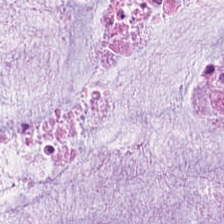H&E-stained tissue section — This patch shows mucin.
